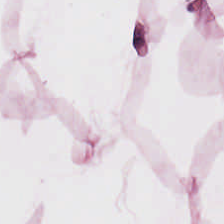Stain: H&E.
Classification: adipocytes.
